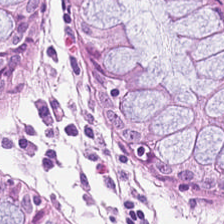H&E-stained tissue section. Tissue: non-neoplastic colon mucosa.
